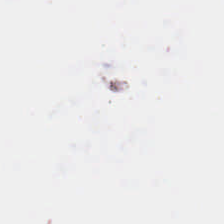0.5 µm/px. H&E.
Empty field — background (no tissue).
